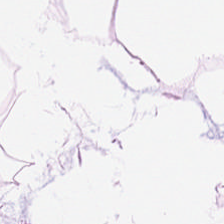FFPE tissue section · H&E stain.
Q: What does this patch show?
A: This is adipocytes.
